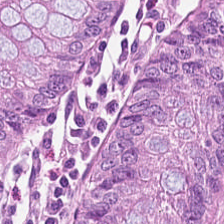WSI patch · 224×224 px patch · hematoxylin-and-eosin stained section.
Showing normal colon mucosa.
